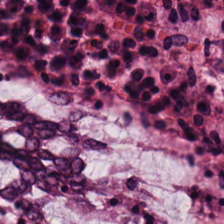0.5 µm/px; FFPE; H&E — Classification = normal colonic mucosa.
